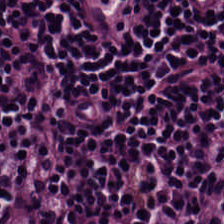H&E stain. This field is lymphoid infiltrate.
